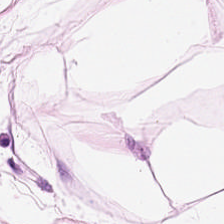Q: What does this patch show?
A: Adipose tissue.
